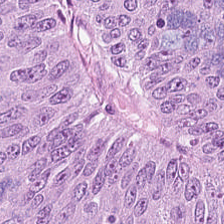Hematoxylin-and-eosin stained section; 224×224 px tile — {"tissue_type": "tumor epithelium"}
